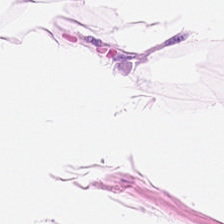Hematoxylin and eosin — Predominantly adipocytes.
